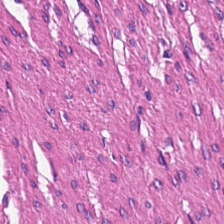Tissue class — muscularis.
